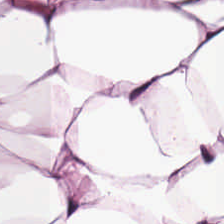Stain: hematoxylin and eosin.
Classification: adipocytes.
